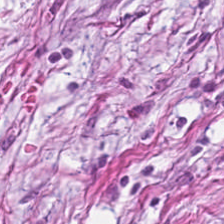FFPE tissue section; H&E stain — Q: What is shown in this field?
A: This is tumor-associated stroma.
